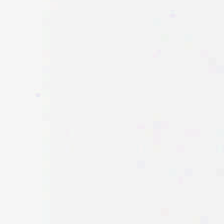Content — no tissue.
